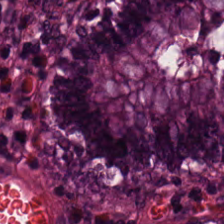20× equivalent magnification · H&E stain — The tissue here is non-neoplastic colon mucosa.
